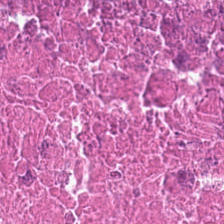H&E-stained tissue section — Necrotic debris.
